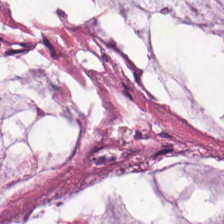Stain: H&E.
Predominant tissue: extracellular mucin.
